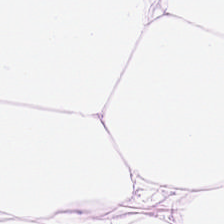WSI patch; H&E stain. Q: What tissue is shown?
A: Fat tissue.
